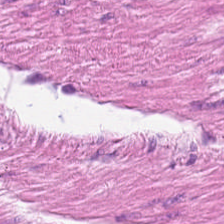H&E stain — {"tissue_type": "smooth-muscle tissue"}
